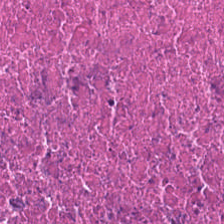H&E patch showing cellular debris.
